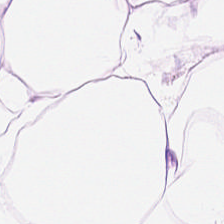H&E stain — Q: What type of tissue is this?
A: The field shows adipose.
